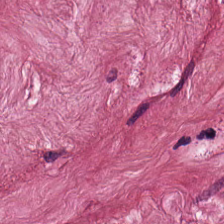This patch shows cancer-associated stroma.
